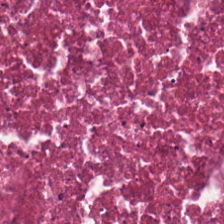H&E-stained tissue section.
Q: What does this patch show?
A: The field shows debris.
